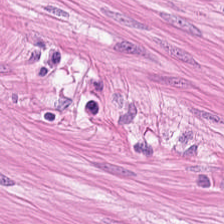Predominant tissue — smooth muscle.
